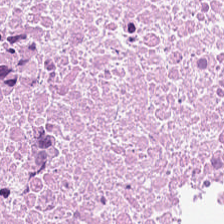Brightfield · H&E · 224×224 px patch — Debris.
